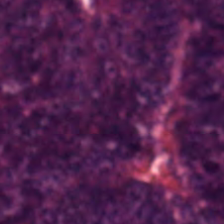Hematoxylin and eosin. Predominantly tumor epithelium.
